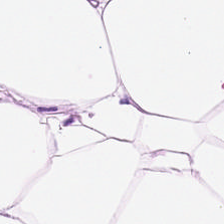Hematoxylin-and-eosin section: adipocytes.
